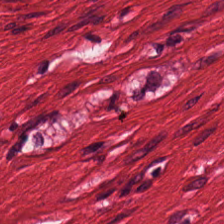H&E.
Tissue class: muscularis.
